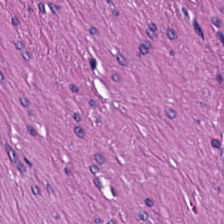The tissue here is smooth muscle.
